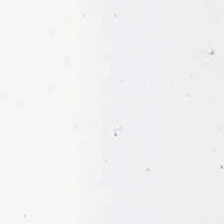No tissue present; background only.
